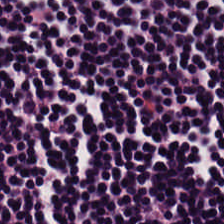Hematoxylin and eosin; FFPE; whole-slide-image patch.
Predominantly lymphoid infiltrate.
